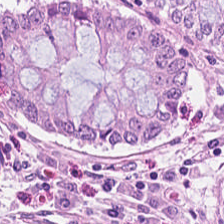H&E — Q: What is the predominant tissue type?
A: It is benign colonic mucosa.
